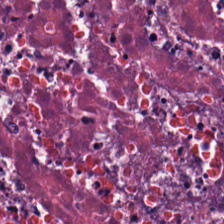H&E.
The predominant tissue is cellular debris.
